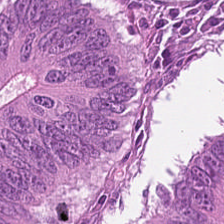FFPE tissue section. 224×224 px tile. H&E stain. Tissue type — colorectal adenocarcinoma.
